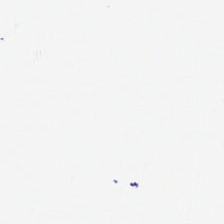224×224 px patch · H&E stain.
{"content": "no tissue"}
